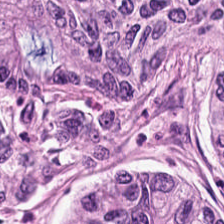224×224 pixel tile. H&E-stained tissue section. Predominantly colorectal adenocarcinoma epithelium.
